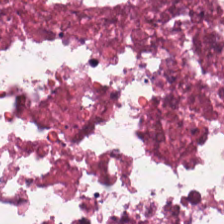0.5 µm per pixel; H&E — Tissue class — debris.
